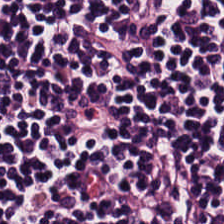H&E.
Tissue type = lymphocyte aggregate.
